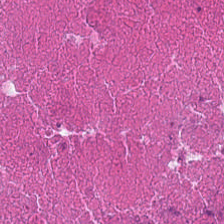Stain: hematoxylin and eosin.
Tile size: 224×224 pixel tile.
Classification: debris.
